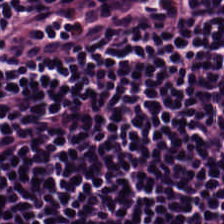Stain: H&E stain.
Predominant tissue: lymphocytic infiltrate.
